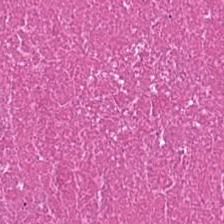Formalin-fixed paraffin-embedded section; hematoxylin-and-eosin stained section. Q: What tissue is shown?
A: The field shows necrotic debris.
